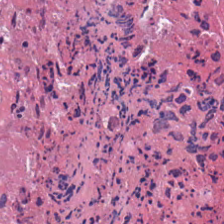Q: Identify the tissue.
A: The field shows debris.
